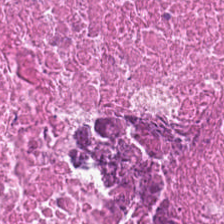H&E-stained tissue section. Formalin-fixed paraffin-embedded section. Tissue class: cellular debris.
